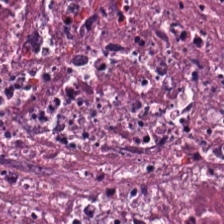Formalin-fixed paraffin-embedded section · H&E-stained tissue section · 224×224 px patch. Histology — necrotic debris.
